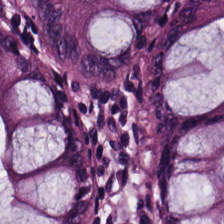Formalin-fixed paraffin-embedded section. H&E.
The tissue type is benign colonic mucosa.
